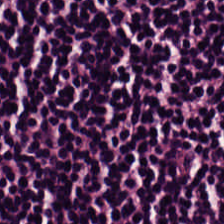Hematoxylin-and-eosin stained section. Tissue — lymphocytic infiltrate.
